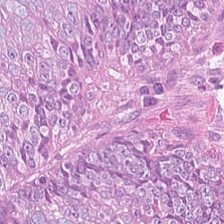Stain: H&E stain.
Tissue type: malignant epithelium.
